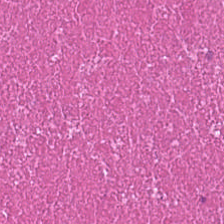H&E; FFPE; brightfield — Q: What is shown here?
A: This is necrotic debris.
